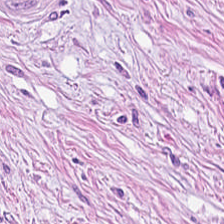This patch shows cancer-associated stroma.
